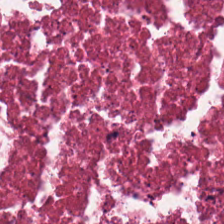H&E patch showing cellular debris.
